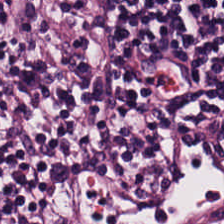H&E-stained tissue section — Showing lymphocyte aggregate.
